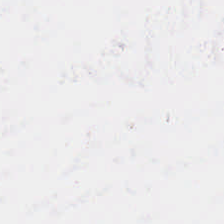{"content": "empty background"}
